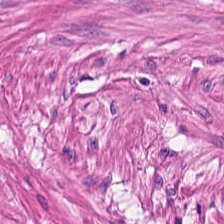H&E-stained tissue section — Tissue type — smooth-muscle tissue.
